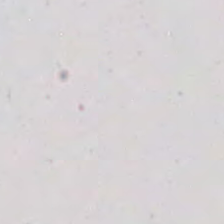Hematoxylin-and-eosin stained section. Classification: background.
